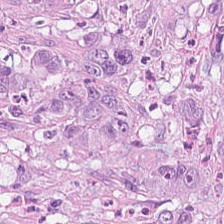Q: Classify this patch.
A: It is adenocarcinoma.
